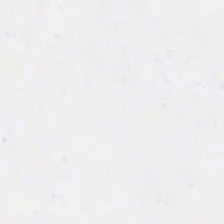Q: What is shown in this field?
A: It is background.
